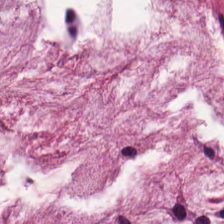H&E-stained tissue section — Histology — mucus.
